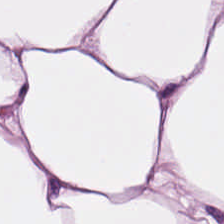Stain: hematoxylin and eosin.
Tissue class: adipose tissue.
